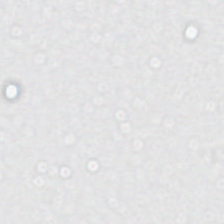Hematoxylin and eosin — Q: What does this patch show?
A: This is empty background.
